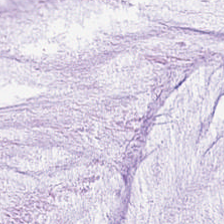H&E stain. 0.5 microns per pixel.
Tissue — extracellular mucin.
